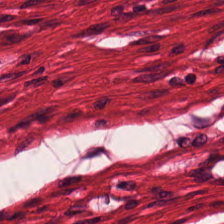224×224 px tile; H&E stain.
Histology → smooth muscle.
